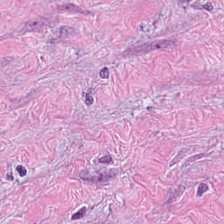FFPE; H&E stain. This field is desmoplastic stroma.
